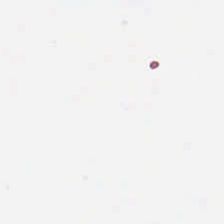H&E-stained tissue section.
This patch shows background.
